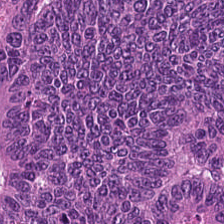Brightfield microscopy · H&E-stained tissue section. Histology — adenocarcinoma.
